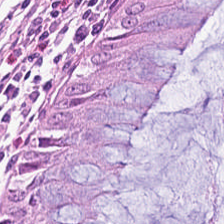Hematoxylin-and-eosin stained section — Finding — non-neoplastic colon mucosa.
